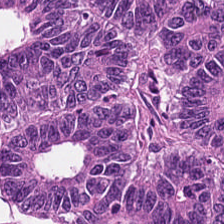H&E-stained tissue section. This patch shows adenocarcinoma.
